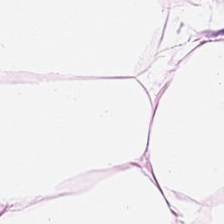Hematoxylin and eosin.
Predominantly adipocytes.
